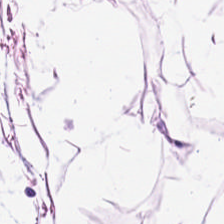H&E stain. Brightfield microscopy.
This field is fat tissue.
